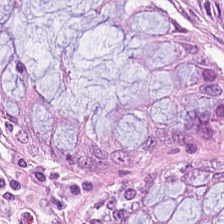Hematoxylin-and-eosin stained section.
Classification — benign colonic mucosa.
